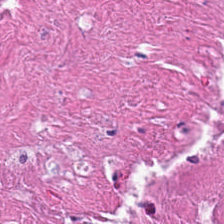H&E. Whole-slide-image patch. Impression → necrotic debris.
